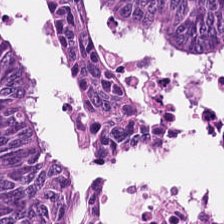Hematoxylin-and-eosin stained section — Classification — tumor epithelium.
